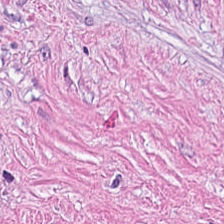224×224 px patch; FFPE; hematoxylin and eosin.
Showing cancer-associated stroma.
